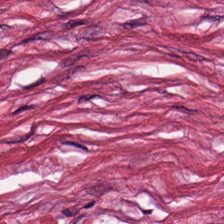H&E.
Tissue: cancer-associated stroma.
